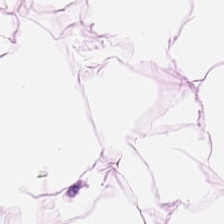Stain: H&E stain.
Acquisition: WSI patch.
Tissue: adipose.
